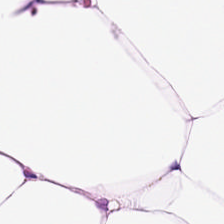224×224 pixel tile. Hematoxylin-and-eosin stained section — Finding — fat tissue.
